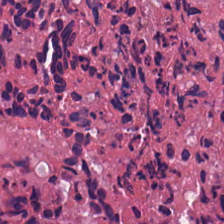Stain: hematoxylin-and-eosin stained section.
Acquisition: WSI patch.
Tissue: cellular debris.
